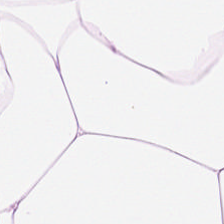FFPE tissue section; H&E-stained tissue section. Predominant tissue: adipocytes.
